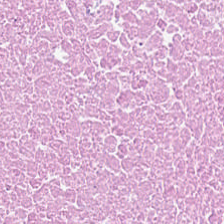224×224 pixel tile. Hematoxylin and eosin.
{"tissue_type": "necrotic debris"}
